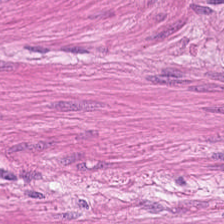H&E. 0.5 µm/px. Brightfield microscopy.
This field is smooth muscle.
